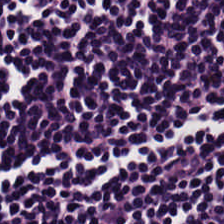H&E.
The tissue here is lymphocytic infiltrate.
